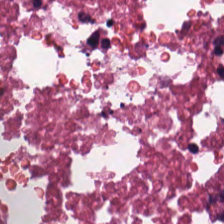H&E-stained tissue section. Classification = debris.
